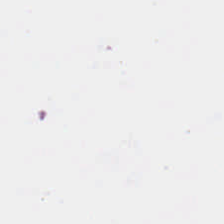Hematoxylin-and-eosin stained section.
Finding → empty background.
